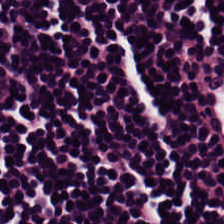Histology → lymphocytes.
